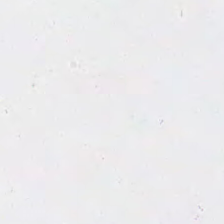Hematoxylin and eosin. Field content: background (no tissue).
